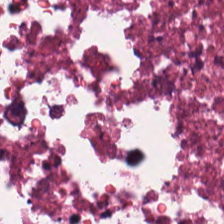Stain: H&E.
Tile size: 224×224 px patch.
Predominant tissue: necrotic debris.
